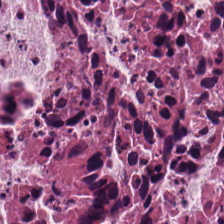0.5 µm/px. Hematoxylin-and-eosin stained section. Q: Classify this patch.
A: It is necrotic debris.
